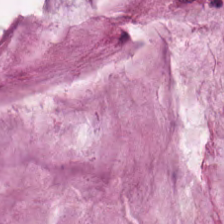H&E — Tissue type: mucus.
